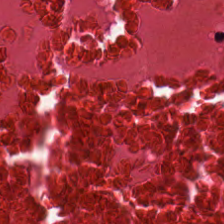H&E-stained tissue section. The tissue here is debris.
